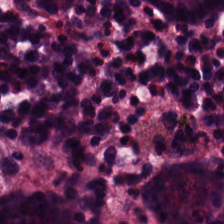H&E stain. Tissue class — benign colonic mucosa.
